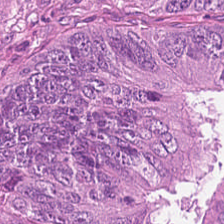Stain: H&E-stained tissue section.
Tissue class: adenocarcinoma.
